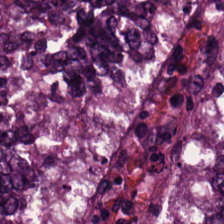Stain: H&E-stained tissue section.
Predominant tissue: malignant epithelium.
